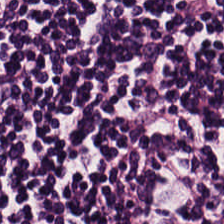H&E stain — The tissue type is lymphocytic infiltrate.
